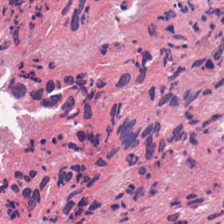Hematoxylin and eosin — Q: Identify the tissue.
A: This is debris.
